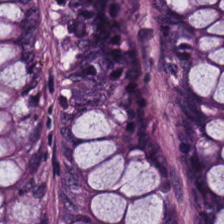Finding — normal colon mucosa.
